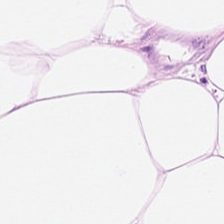0.5 microns per pixel; hematoxylin and eosin — Histology — adipose tissue.
